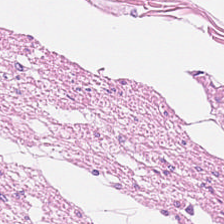224×224 px patch · H&E stain.
Predominantly smooth muscle.
